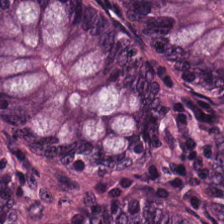Brightfield · hematoxylin-and-eosin stained section · 20× equivalent magnification — Tissue class: normal colonic mucosa.
